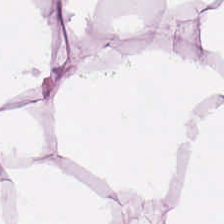H&E stain — This patch shows adipocytes.
